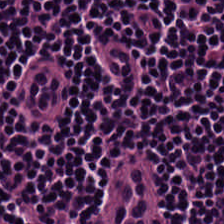Hematoxylin-and-eosin section: lymphocytes.
